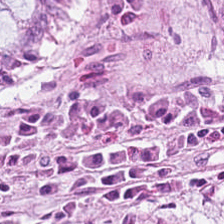224×224 px tile · hematoxylin-and-eosin stained section.
Q: What does this patch show?
A: The field shows normal colon mucosa.
